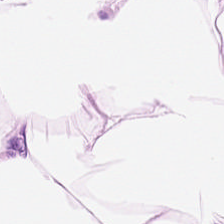Hematoxylin-and-eosin stained section; 0.5 µm per pixel.
Fat tissue.
